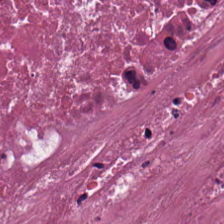H&E-stained tissue section.
The tissue here is debris.
